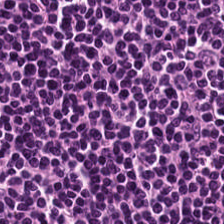Hematoxylin-and-eosin stained section.
Predominantly lymphocytes.
